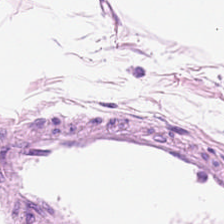Stain: H&E.
Predominant tissue: adipocytes.
